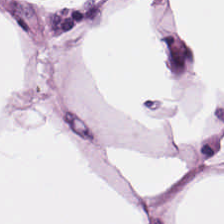224×224 pixel tile. H&E-stained tissue section — The tissue here is adipose.
